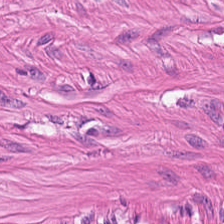H&E-stained tissue section. Predominantly muscularis.
